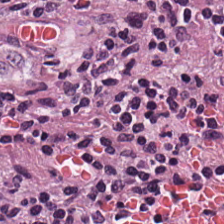Hematoxylin-and-eosin stained section. {"tissue_type": "lymphocytes"}
